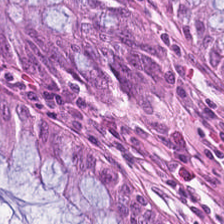Brightfield · H&E stain.
Tissue type — benign colonic mucosa.
